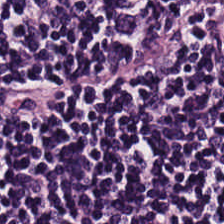224×224 pixel tile · FFPE tissue section · H&E stain — The tissue here is lymphocytes.
